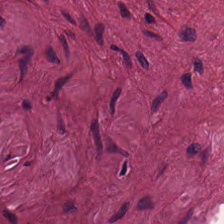Hematoxylin-and-eosin stained section.
The classification is tumor stroma.
